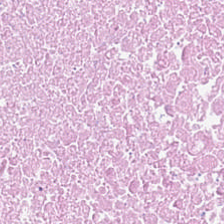Hematoxylin-and-eosin stained section · 0.5 µm/px · FFPE.
Tissue — debris.
